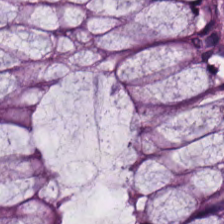Brightfield; hematoxylin and eosin; FFPE tissue section.
{"tissue_type": "non-neoplastic colon mucosa"}
